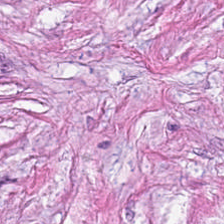Stain: H&E.
Predominant tissue: cancer-associated stroma.
